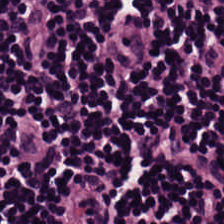H&E · FFPE tissue section.
Q: What is shown in this field?
A: This is lymphocytes.
